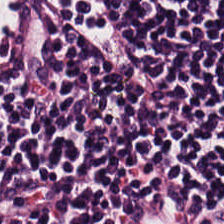H&E.
The predominant tissue is lymphocytic infiltrate.
